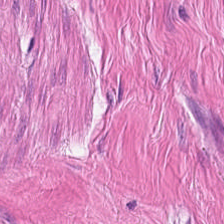Stain: H&E-stained tissue section.
Tissue type: smooth muscle.
